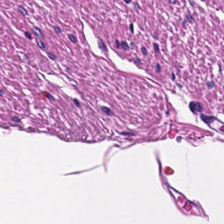Tissue class — smooth-muscle tissue.
